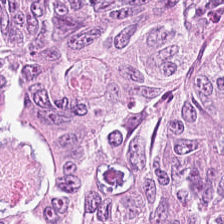H&E-stained tissue section — Adenocarcinoma.
